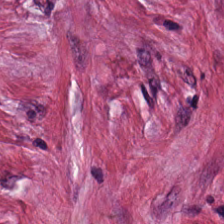H&E-stained tissue section. 224×224 pixel tile.
{"tissue_type": "cancer-associated stroma"}
